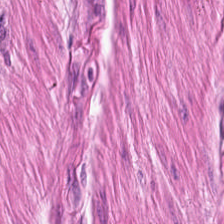H&E.
Tissue = smooth muscle.
